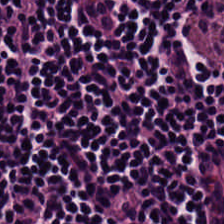H&E-stained tissue section.
The classification is lymphocytes.
